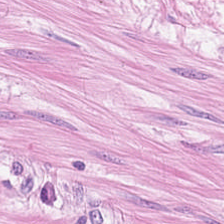H&E. Finding — smooth muscle.
